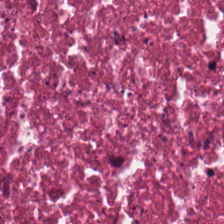H&E stain — Impression — cellular debris.
